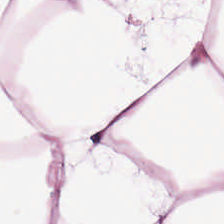H&E stain. The tissue here is adipocytes.
